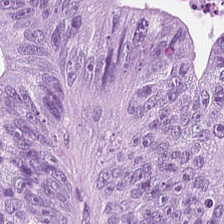H&E-stained tissue section showing tumor epithelium.
